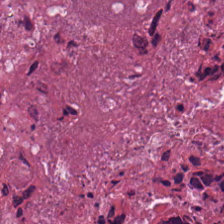H&E; 0.5 µm/px.
Classification: cellular debris.
